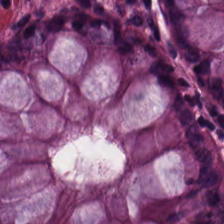H&E stain. 224×224 pixel tile. Brightfield.
The predominant tissue is normal colon mucosa.
